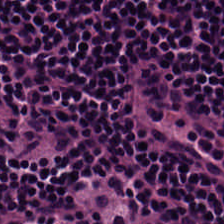Q: What is shown in this field?
A: This is lymphocyte aggregate.
